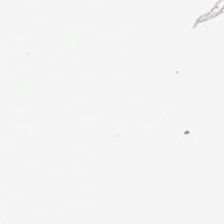H&E stain.
This patch shows background (no tissue).
